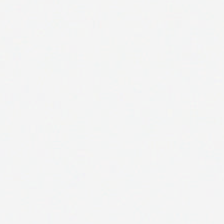0.5 µm/px. H&E.
Background — no tissue in this field.
